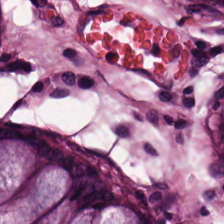Hematoxylin-and-eosin stained section · 224×224 pixel tile · brightfield microscopy.
Q: Identify the tissue.
A: The field shows non-neoplastic colon mucosa.
